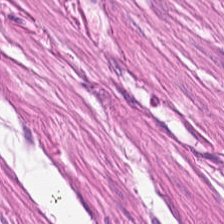Stain: H&E-stained tissue section.
Tissue type: muscularis.
